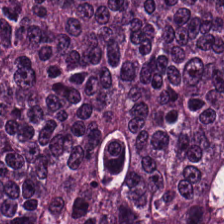224×224 px tile; H&E-stained tissue section.
Q: What is the predominant tissue type?
A: It is colorectal adenocarcinoma.
